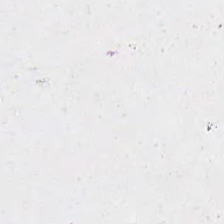Impression → background.
